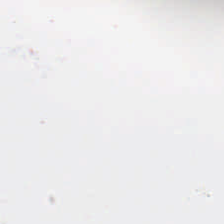H&E-stained tissue section · 224×224 px patch.
Background.
